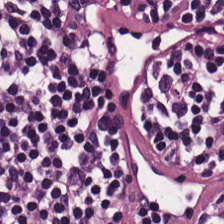H&E-stained tissue section. Lymphocytes.
